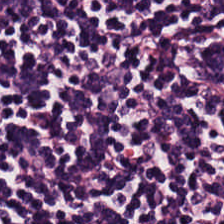Hematoxylin-and-eosin stained section · FFPE tissue section.
Q: What tissue type is shown here?
A: The field shows lymphocyte aggregate.
